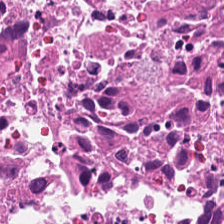Hematoxylin and eosin — {"tissue_type": "cellular debris"}
